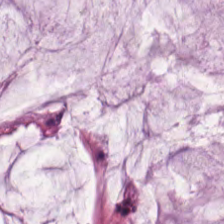Stain: H&E stain.
Tissue: extracellular mucin.
